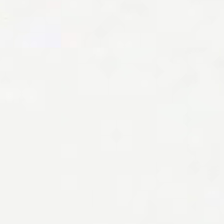224×224 px patch. Hematoxylin-and-eosin stained section.
Background — no tissue in this field.
